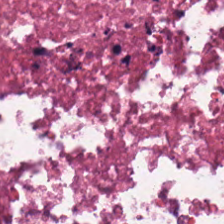Showing debris.
